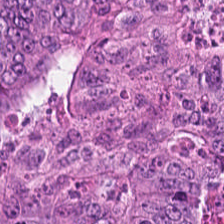Stain: hematoxylin and eosin.
Classification: colorectal adenocarcinoma epithelium.
